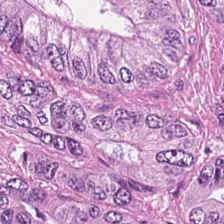H&E-stained tissue section. FFPE. Whole-slide-image patch — The classification is tumor epithelium.
